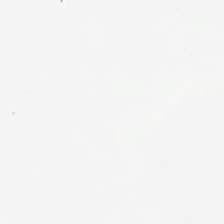Q: What is shown here?
A: It is background (no tissue).
